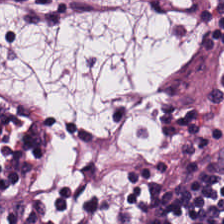H&E-stained tissue section — Q: What is shown here?
A: This is lymphocytes.
